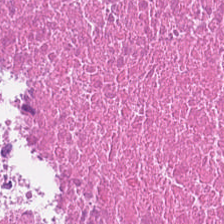Stain: H&E-stained tissue section.
Classification: cellular debris.
